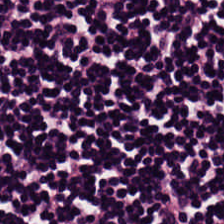H&E-stained tissue section · whole-slide-image patch. {"tissue_type": "lymphocytic infiltrate"}
